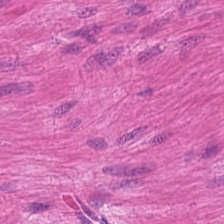Hematoxylin and eosin. The predominant tissue is muscularis.
